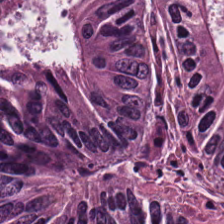Predominant tissue — malignant epithelium.
